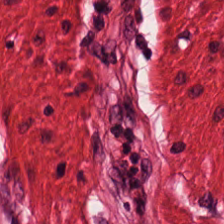224×224 px tile; 0.5 µm per pixel; H&E-stained tissue section. Tissue type = smooth muscle.
